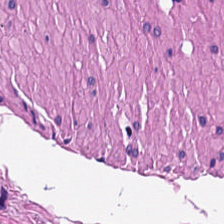Hematoxylin-and-eosin stained section. 0.5 µm/px. 224×224 pixel tile. Q: What type of tissue is this?
A: Smooth muscle.
